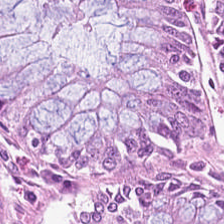Whole-slide-image patch · H&E — {"tissue_type": "normal colon mucosa"}
